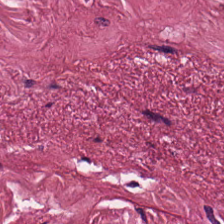Q: What does this patch show?
A: The field shows tumor stroma.
